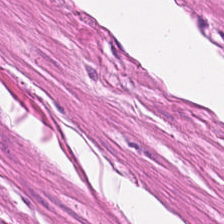Hematoxylin-and-eosin stained section.
Tissue class: smooth-muscle tissue.
